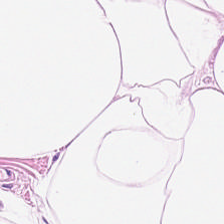H&E. FFPE tissue section. 224×224 px patch — Tissue = fat tissue.
